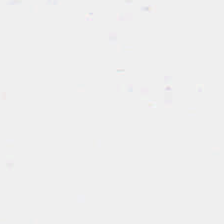Content = background (no tissue).
